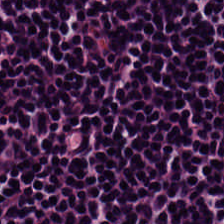H&E stain — Predominant tissue = lymphoid infiltrate.
